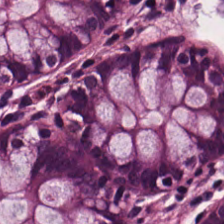Stain: H&E stain.
Acquisition: brightfield.
Predominant tissue: non-neoplastic colon mucosa.
